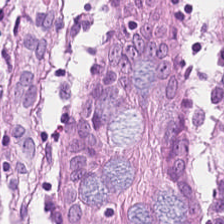Hematoxylin-and-eosin stained section — The tissue is benign colonic mucosa.
